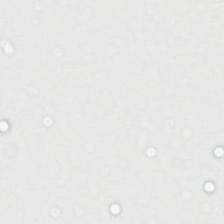Hematoxylin and eosin.
Histology → no tissue.
